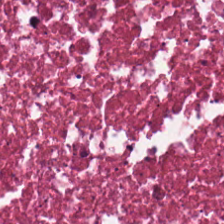H&E-stained section; the field shows debris.
